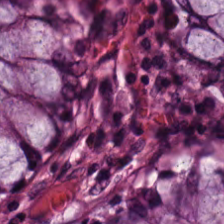The predominant tissue is normal colon mucosa.
